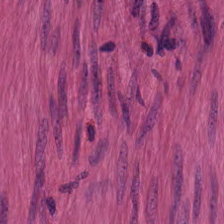Stain: H&E stain.
Classification: smooth-muscle tissue.
